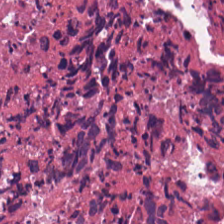FFPE tissue section · H&E-stained tissue section. The tissue type is cellular debris.
